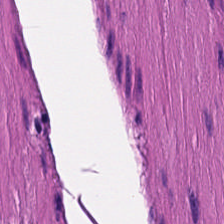Showing muscularis.
